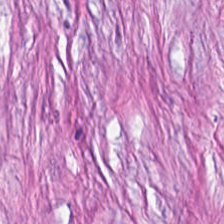H&E-stained tissue section · 0.5 µm per pixel. {"tissue_type": "cancer-associated stroma"}
